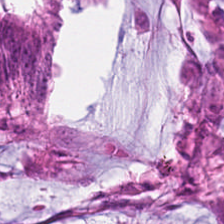Tissue class — tumor epithelium.
